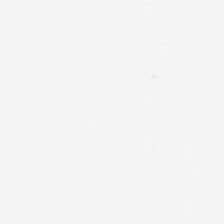H&E — This patch shows background.
